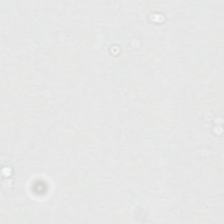H&E stain. {"content": "background (no tissue)"}
